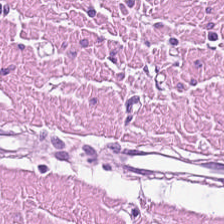224×224 pixel tile. H&E. Tissue type: smooth muscle.
